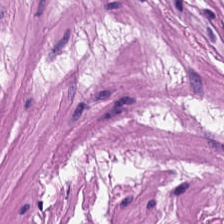H&E. 224×224 pixel tile. Classification: smooth muscle.
